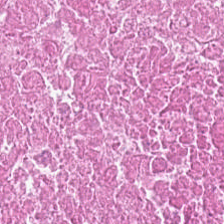The classification is cellular debris.
